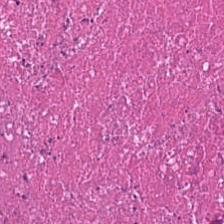H&E.
Impression → debris.
